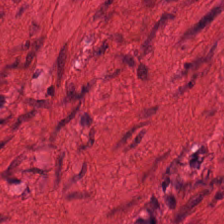This patch shows muscularis.
